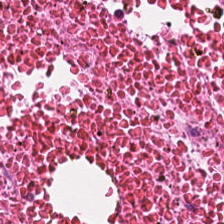This field is debris.
